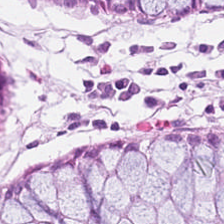H&E — This field is normal colonic mucosa.
